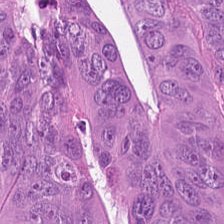Stain: hematoxylin-and-eosin stained section.
Tissue class: colorectal adenocarcinoma.
